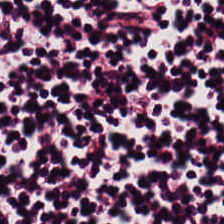Brightfield microscopy. 0.5 µm per pixel. H&E.
Predominantly lymphocytic infiltrate.
